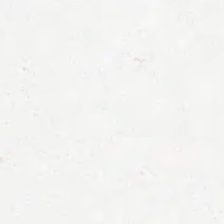Hematoxylin and eosin. Q: Classify this patch.
A: It is empty background.
